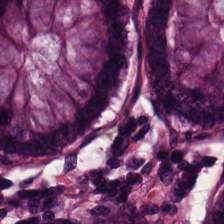Hematoxylin and eosin — This field is benign colonic mucosa.
